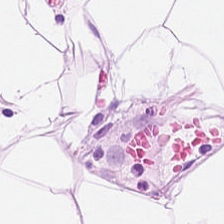FFPE tissue section; H&E stain. The classification is adipose tissue.
